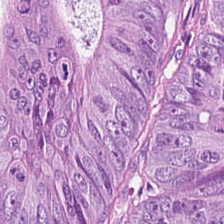The predominant tissue is colorectal adenocarcinoma epithelium.
